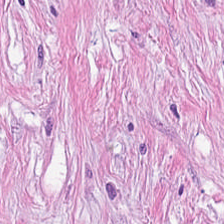H&E — The classification is tumor stroma.
